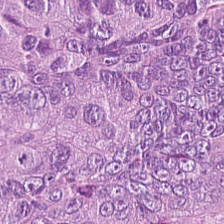Q: What is shown here?
A: This is adenocarcinoma.
